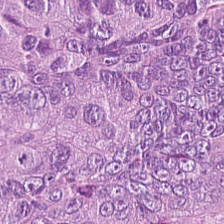Q: What is shown here?
A: This is adenocarcinoma.
